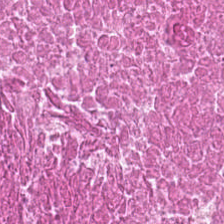H&E — Impression — necrotic debris.
